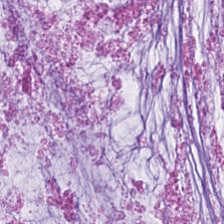0.5 µm/px · H&E stain.
This field is mucus.
